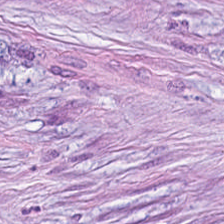H&E stain — The tissue class is tumor stroma.
